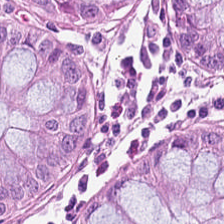WSI patch · 224×224 px patch · H&E. Tissue class — normal colon mucosa.
